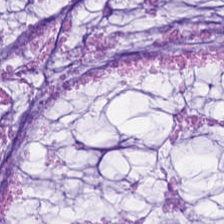Hematoxylin and eosin.
Tissue class = mucus.
